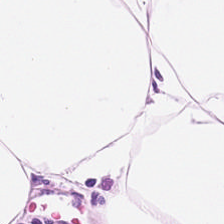Tissue = adipose.
